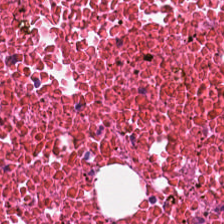224×224 px tile. H&E-stained tissue section. {"tissue_type": "necrotic debris"}
